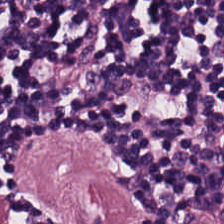Histology → lymphocytic infiltrate.
